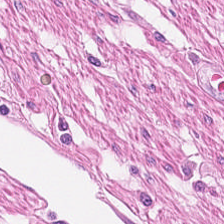Hematoxylin-and-eosin stained section. The tissue is muscularis.
